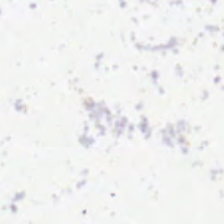H&E. 224×224 pixel tile. Whole-slide-image patch. Empty field — background (no tissue).
